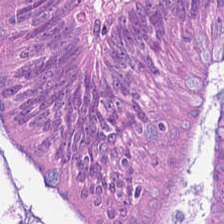H&E. Colorectal adenocarcinoma epithelium.
